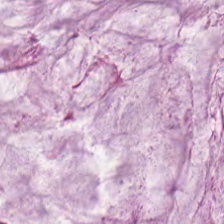H&E; 224×224 px patch.
Predominantly mucin.
